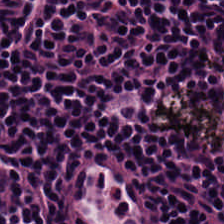The tissue here is lymphoid infiltrate.
